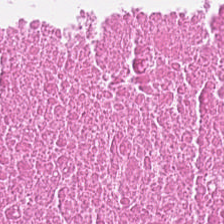Brightfield · hematoxylin and eosin.
This patch shows debris.
